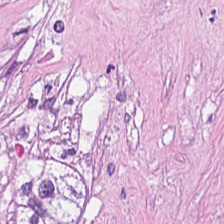Stain: H&E-stained tissue section.
Tissue type: debris.
